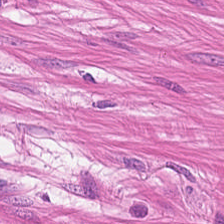Tissue class: smooth muscle.
